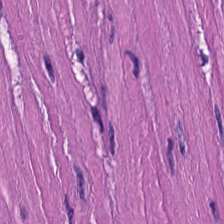Hematoxylin-and-eosin stained section — Q: What is the predominant tissue type?
A: This is muscularis.
